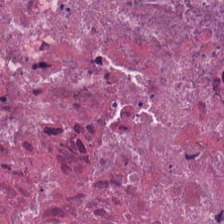Hematoxylin and eosin — The predominant tissue is cellular debris.
